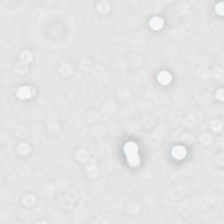H&E-stained tissue section · 224×224 pixel tile · brightfield.
Q: What is shown here?
A: The field shows no tissue.
